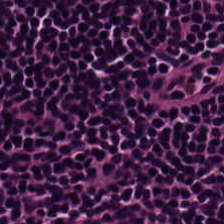Whole-slide-image patch · formalin-fixed paraffin-embedded section · hematoxylin-and-eosin stained section — This field is lymphocytes.
